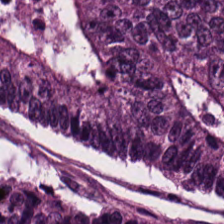Histology → malignant epithelium.
